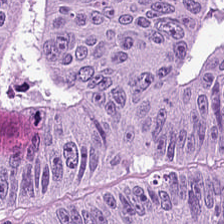20× equivalent magnification; WSI patch; H&E stain — Colorectal adenocarcinoma epithelium.
